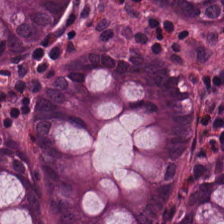0.5 microns per pixel · hematoxylin and eosin — {"tissue_type": "normal colonic mucosa"}
